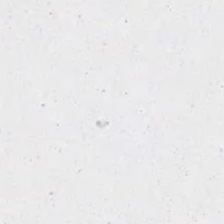Hematoxylin-and-eosin stained section.
Classification — background (no tissue).
